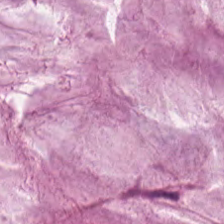0.5 microns per pixel. H&E stain. Extracellular mucin.
